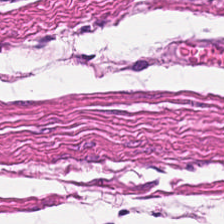H&E stain. Impression — smooth muscle.
